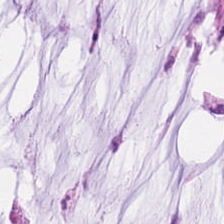Whole-slide-image patch; formalin-fixed paraffin-embedded section; hematoxylin-and-eosin stained section — Finding — mucus.
